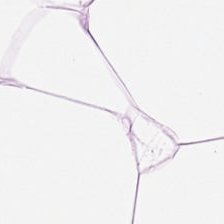H&E-stained tissue section — Tissue = fat tissue.
